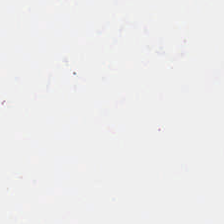This patch shows empty background.
